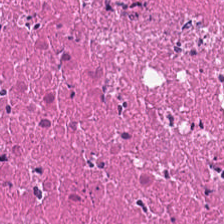Hematoxylin and eosin.
The tissue here is cellular debris.
